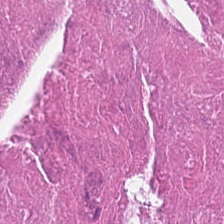Whole-slide-image patch. Hematoxylin and eosin.
Tissue = necrotic debris.
